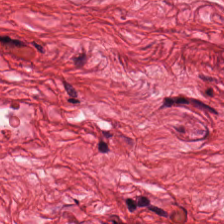This field is smooth-muscle tissue.
